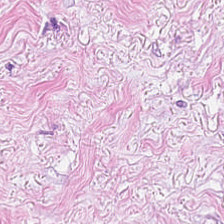Whole-slide-image patch. H&E stain. The tissue here is desmoplastic stroma.
